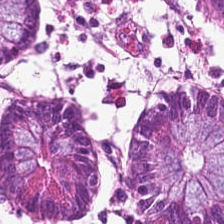H&E. Q: Classify this patch.
A: It is benign colonic mucosa.
